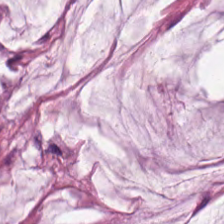H&E-stained tissue section — Predominant tissue — extracellular mucin.
